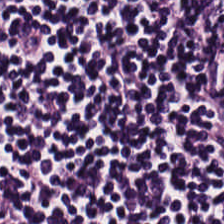Whole-slide-image patch; hematoxylin-and-eosin stained section. Tissue type = lymphocyte aggregate.
